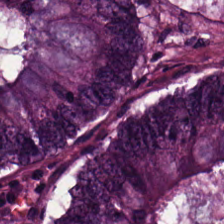Stain: H&E-stained tissue section.
Preparation: FFPE tissue section.
Classification: colorectal adenocarcinoma epithelium.
